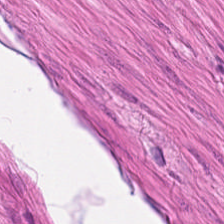Hematoxylin-and-eosin stained section.
Tissue class — smooth muscle.
